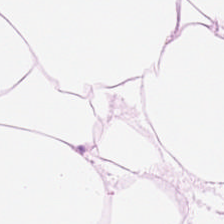Hematoxylin-and-eosin section: fat tissue.
